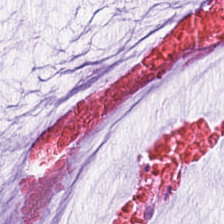20× equivalent magnification. 224×224 px tile. Hematoxylin and eosin. The predominant tissue is mucin.
